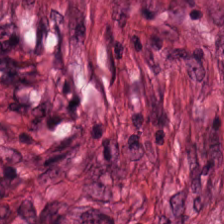H&E stain — Finding — tumor stroma.
